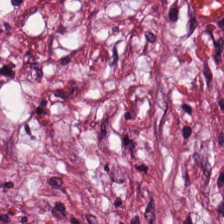Stain: H&E.
Predominant tissue: tumor stroma.
